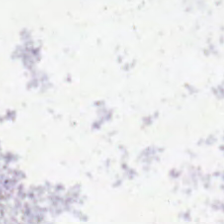H&E-stained tissue section.
Q: What is shown in this field?
A: The field shows empty background.
